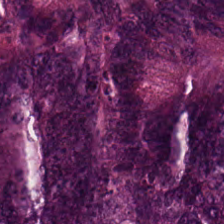Hematoxylin-and-eosin stained section. 20× equivalent magnification. FFPE.
The tissue here is colorectal adenocarcinoma epithelium.
